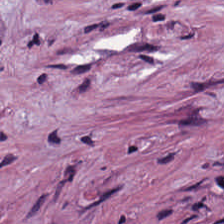The classification is tumor stroma.
